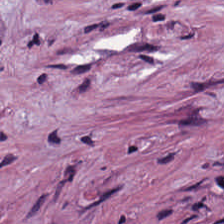The classification is tumor stroma.
